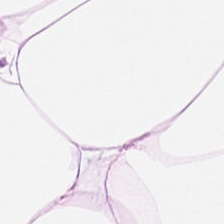Whole-slide-image patch; H&E stain.
The tissue here is adipose.
